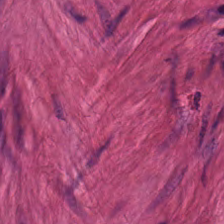0.5 µm/px. Brightfield microscopy. Hematoxylin-and-eosin stained section.
This patch shows smooth muscle.
